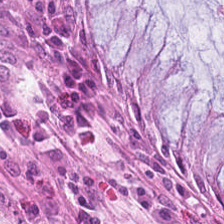H&E · formalin-fixed paraffin-embedded section — Tissue type: non-neoplastic colon mucosa.
